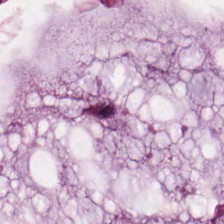Stain: H&E stain.
Resolution: 0.5 µm per pixel.
Acquisition: brightfield.
Classification: mucin.
